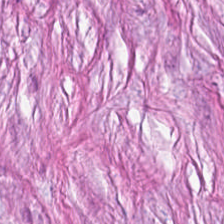Hematoxylin and eosin — Q: Classify this patch.
A: Tumor-associated stroma.
